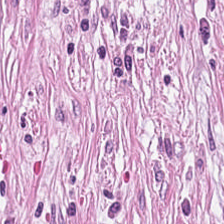20× equivalent magnification; H&E-stained tissue section; 224×224 px tile.
Predominantly cancer-associated stroma.
